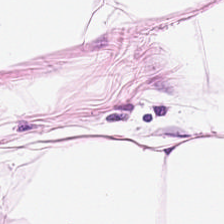H&E-stained tissue section; 224×224 px tile.
Predominantly adipose tissue.
